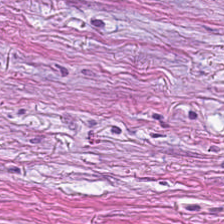Hematoxylin and eosin — This field is cancer-associated stroma.
